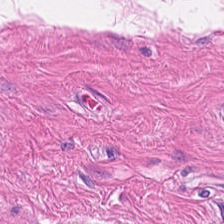0.5 µm per pixel. H&E. The tissue here is muscularis.
